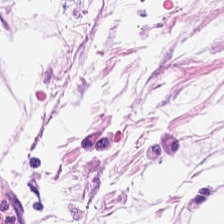H&E-stained tissue section · 224×224 px patch · 0.5 µm/px — Q: What is shown here?
A: This is adipose.
